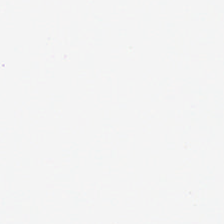This field is background (no tissue).
